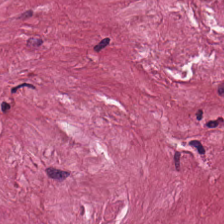Stain: hematoxylin and eosin.
Tissue class: tumor-associated stroma.
